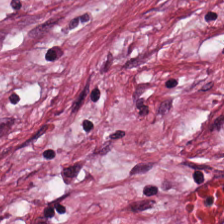Hematoxylin and eosin; 0.5 µm/px. This patch shows tumor stroma.
